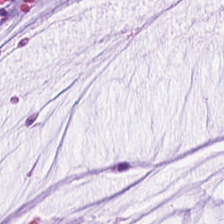H&E-stained tissue section.
Histology — mucus.
